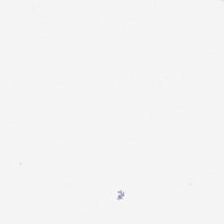Stain: hematoxylin-and-eosin stained section.
Resolution: 0.5 microns per pixel.
Content: no tissue.
